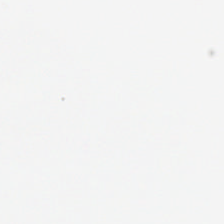Stain: hematoxylin-and-eosin stained section.
Classification: no tissue.
